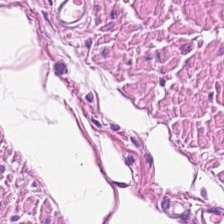Hematoxylin and eosin · FFPE — This field is smooth muscle.
